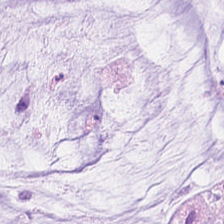Impression — extracellular mucin.
